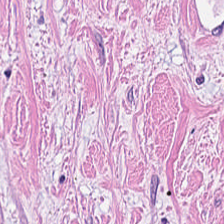Hematoxylin-and-eosin stained section. 0.5 µm/px.
Q: Identify the tissue.
A: The field shows tumor stroma.
